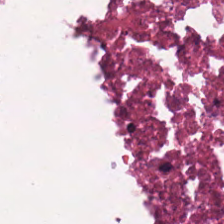224×224 pixel tile. Hematoxylin-and-eosin stained section — Classification: cellular debris.
